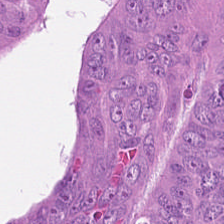H&E stain · 20× equivalent magnification · 224×224 px tile — Q: Identify the tissue.
A: It is adenocarcinoma.
